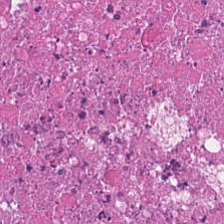0.5 µm per pixel · FFPE tissue section · H&E. Tissue type — cellular debris.
